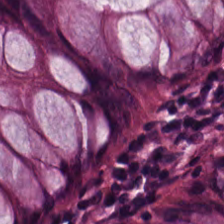H&E-stained tissue section. Q: What is shown in this field?
A: The field shows normal colon mucosa.
